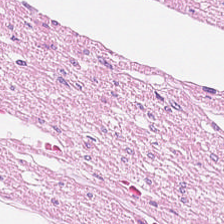Brightfield microscopy; hematoxylin and eosin; 20× equivalent magnification. The predominant tissue is smooth muscle.
